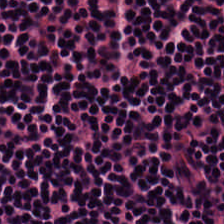H&E stain.
{"tissue_type": "lymphocytes"}
